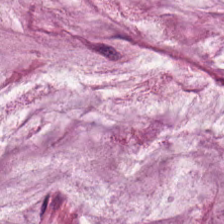H&E.
The predominant tissue is extracellular mucin.
